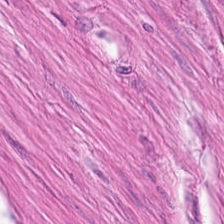H&E stain. Finding — smooth muscle.
